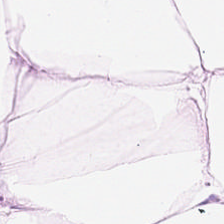H&E stain — Histology → fat tissue.
